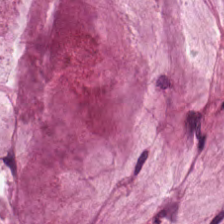Hematoxylin and eosin.
This patch shows mucus.
